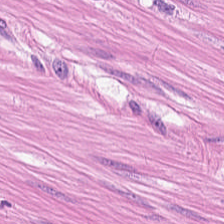Stain: H&E stain.
Resolution: 0.5 microns per pixel.
Preparation: FFPE.
Predominant tissue: smooth-muscle tissue.
